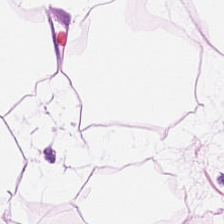Hematoxylin-and-eosin stained section — This patch shows adipose tissue.
